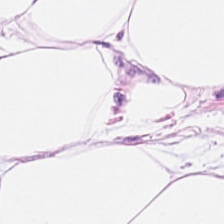H&E-stained tissue section — Finding → adipose.
